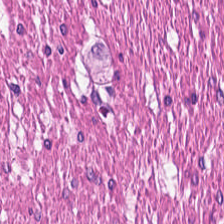H&E stain.
Q: What does this patch show?
A: It is smooth-muscle tissue.
